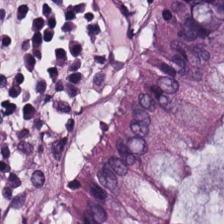H&E.
Classification = benign colonic mucosa.
